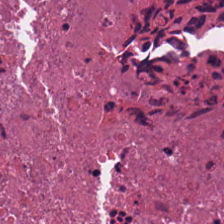Formalin-fixed paraffin-embedded section; WSI patch; hematoxylin-and-eosin stained section — The classification is necrotic debris.
